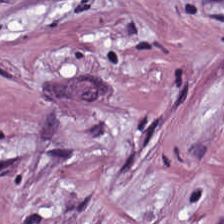Hematoxylin and eosin — Classification — cancer-associated stroma.
